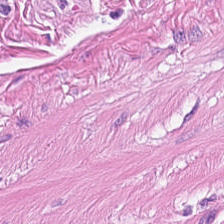Hematoxylin-and-eosin stained section.
Muscularis.
